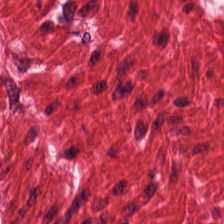H&E stain.
Predominantly muscularis.
